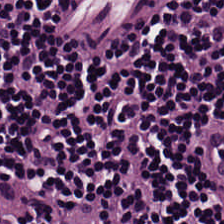FFPE tissue section; H&E; whole-slide-image patch — Finding → lymphocytes.
